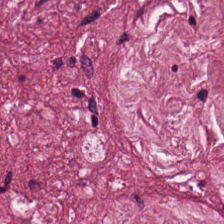{"tissue_type": "tumor stroma"}
